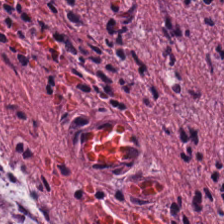0.5 µm/px; formalin-fixed paraffin-embedded section; H&E — Tissue class: tumor stroma.
